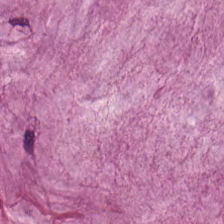Stain: H&E stain.
Resolution: 0.5 µm per pixel.
Tissue: extracellular mucin.
